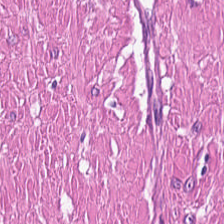20× equivalent magnification; H&E stain. Histology → smooth muscle.
